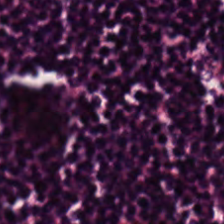FFPE tissue section · 0.5 microns per pixel · H&E-stained tissue section.
Q: What is shown in this field?
A: The field shows lymphocyte aggregate.
